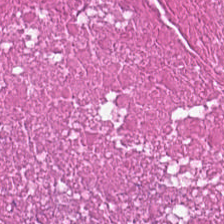Showing cellular debris.
